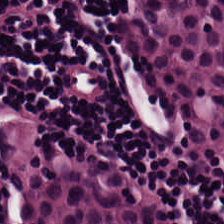H&E.
The tissue here is lymphocyte aggregate.
